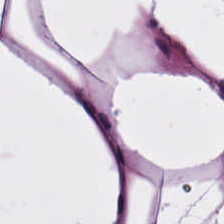H&E stain · formalin-fixed paraffin-embedded section · 0.5 µm/px.
The tissue here is adipocytes.
